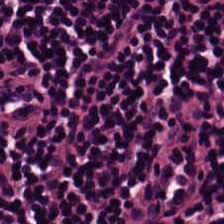Hematoxylin-and-eosin stained section. 0.5 microns per pixel. 224×224 pixel tile.
Q: What is shown in this field?
A: Lymphocytes.
